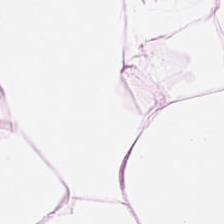The tissue is adipocytes.
